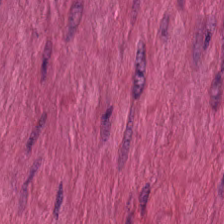Stain: hematoxylin and eosin.
Tile size: 224×224 px patch.
Tissue: muscularis.
